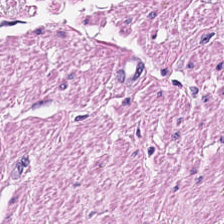H&E — Smooth-muscle tissue.
